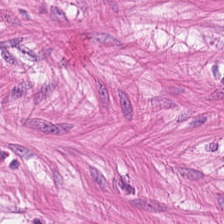H&E-stained tissue section.
The predominant tissue is smooth-muscle tissue.
